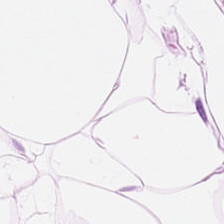Stain: hematoxylin-and-eosin stained section.
Tissue type: adipose.
